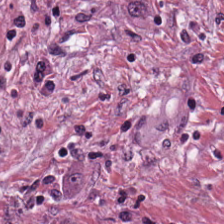H&E-stained tissue section. The predominant tissue is tumor-associated stroma.
